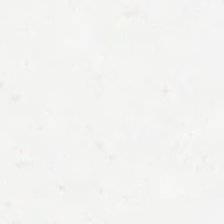0.5 microns per pixel; H&E-stained tissue section. No tissue present; background only.
